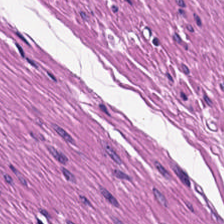H&E-stained tissue section. Q: What is shown in this field?
A: It is smooth-muscle tissue.
